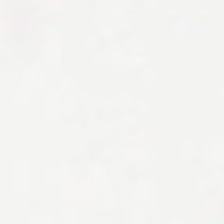Hematoxylin-and-eosin stained section.
This field is background (no tissue).
